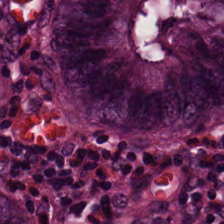Hematoxylin-and-eosin stained section.
Tissue type: normal colonic mucosa.
